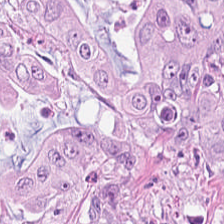H&E stain — Finding — adenocarcinoma.
